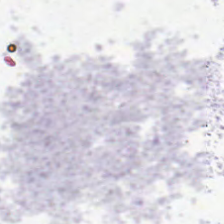Empty field — background (no tissue).
